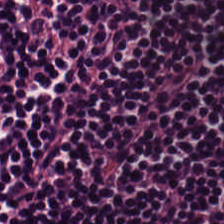H&E-stained tissue section showing lymphocytic infiltrate.
